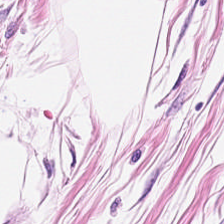Hematoxylin and eosin · 224×224 px patch — Predominantly fat tissue.
